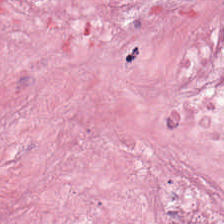Hematoxylin-and-eosin stained section. Formalin-fixed paraffin-embedded section — The predominant tissue is desmoplastic stroma.
